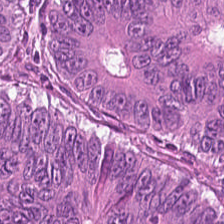Stain: H&E stain.
Tissue class: adenocarcinoma.
